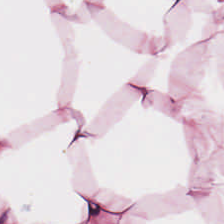Histology — adipocytes.
